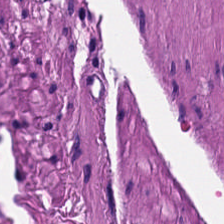Stain: hematoxylin-and-eosin stained section.
Predominant tissue: smooth muscle.
